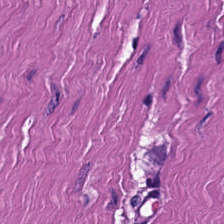0.5 µm/px · hematoxylin-and-eosin stained section.
Tissue type = smooth muscle.
